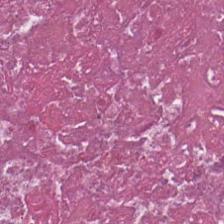Hematoxylin and eosin · 0.5 microns per pixel · 224×224 pixel tile — Tissue class = necrotic debris.
